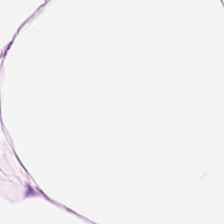Brightfield microscopy. 0.5 microns per pixel. H&E-stained tissue section.
Impression — adipocytes.
